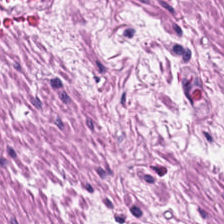H&E-stained tissue section. {"tissue_type": "smooth muscle"}
